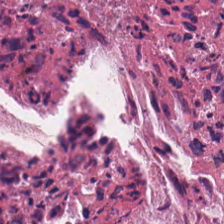Classification: debris.
